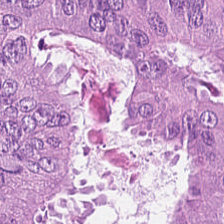H&E.
The tissue here is colorectal adenocarcinoma epithelium.
